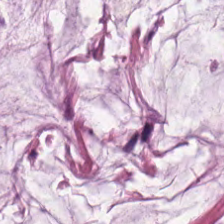H&E-stained tissue section — The tissue is mucus.
